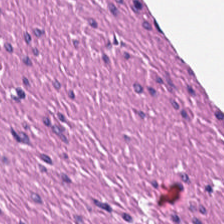Stain: H&E.
Acquisition: WSI patch.
Tissue: smooth muscle.
